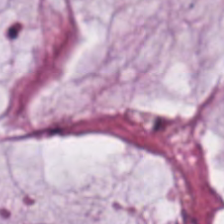H&E.
Tissue class — extracellular mucin.
